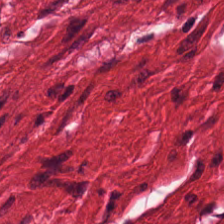Hematoxylin and eosin; brightfield. Q: What type of tissue is this?
A: The field shows muscularis.
